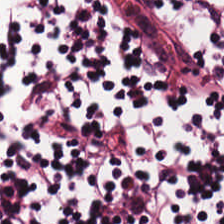The predominant tissue is lymphocyte aggregate.
